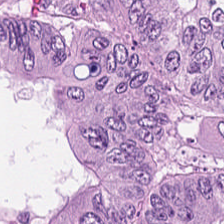Q: What does this patch show?
A: Malignant epithelium.
